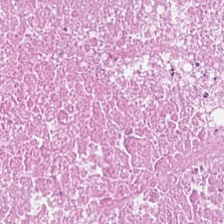H&E stain — Q: What is the predominant tissue type?
A: It is necrotic debris.
